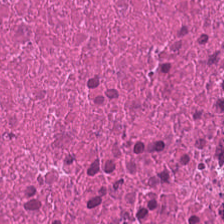Q: What is the predominant tissue type?
A: This is debris.
